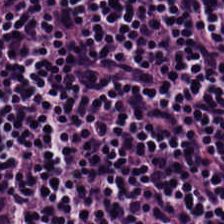0.5 µm/px. Hematoxylin-and-eosin stained section — This field is lymphocytic infiltrate.
